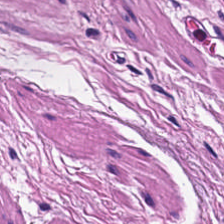Stain: H&E-stained tissue section.
Preparation: FFPE tissue section.
Classification: muscularis.
